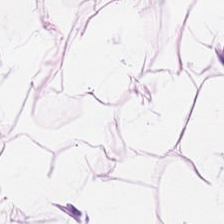H&E — {"tissue_type": "adipocytes"}
